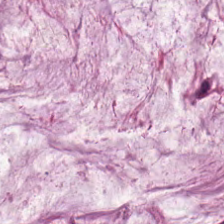Tissue class — extracellular mucin.
